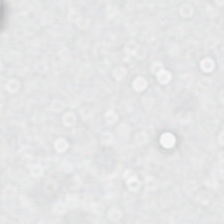No tissue present; background only.
